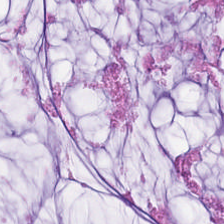H&E-stained tissue section — This field is mucin.
